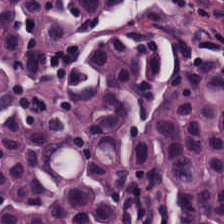Hematoxylin-and-eosin stained section. Impression — lymphocytic infiltrate.
